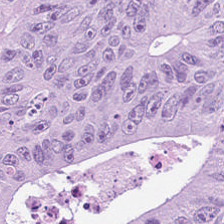Impression — tumor epithelium.
